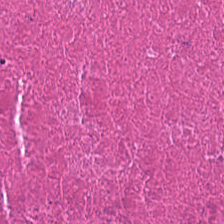Stain: hematoxylin and eosin.
Preparation: FFPE.
Tissue: cellular debris.
